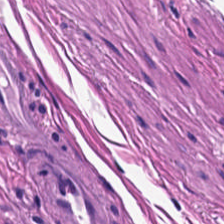Hematoxylin-and-eosin stained section — Smooth-muscle tissue.
